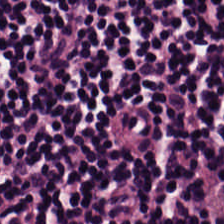H&E stain — Q: Identify the tissue.
A: It is lymphoid infiltrate.
